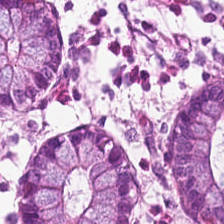Hematoxylin and eosin. This field is normal colonic mucosa.
